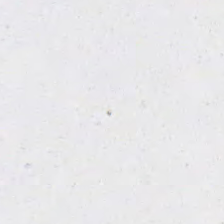H&E-stained tissue section · WSI patch.
Classification: no tissue.
